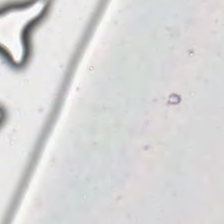Hematoxylin and eosin.
This patch shows background.
